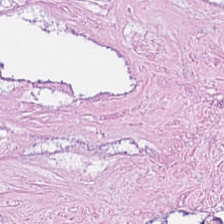0.5 µm/px; hematoxylin-and-eosin stained section; FFPE tissue section.
This patch shows debris.
